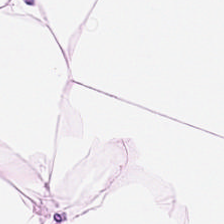H&E. The predominant tissue is adipose.
